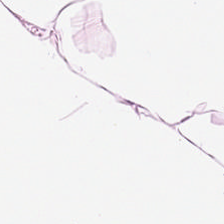Hematoxylin and eosin · WSI patch.
Q: What tissue type is shown here?
A: Fat tissue.
